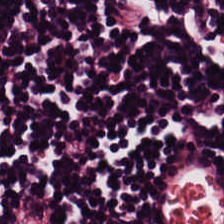Histology — lymphocytic infiltrate.
